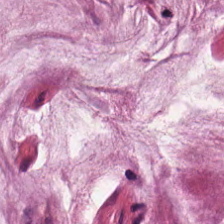224×224 pixel tile; H&E-stained tissue section.
This patch shows mucin.
